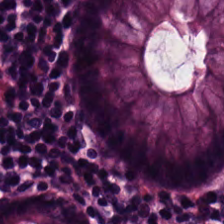H&E-stained tissue section.
Showing normal colon mucosa.
